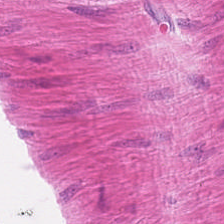FFPE tissue section; 20× equivalent magnification; hematoxylin-and-eosin stained section.
Q: What is the predominant tissue type?
A: It is muscularis.
